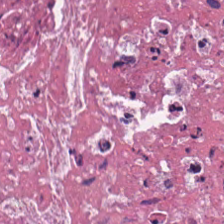Hematoxylin and eosin. Histology → debris.
